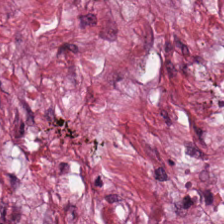Classification: desmoplastic stroma.
